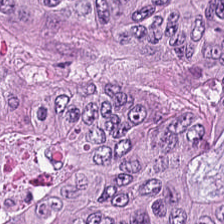Stain: H&E stain.
Tissue class: malignant epithelium.
